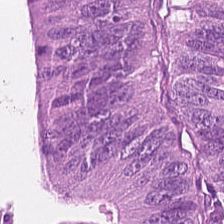Hematoxylin-and-eosin stained section. Formalin-fixed paraffin-embedded section. WSI patch. This patch shows tumor epithelium.
